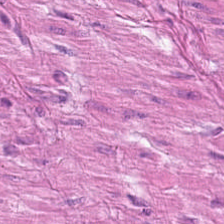WSI patch · H&E stain · formalin-fixed paraffin-embedded section. Q: What is shown here?
A: It is smooth muscle.
